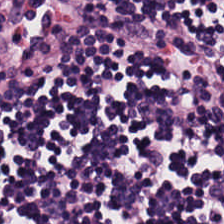H&E-stained tissue section. 20× equivalent magnification. 224×224 px tile — Tissue class: lymphocyte aggregate.
